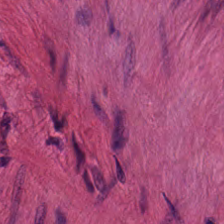Hematoxylin-and-eosin stained section; WSI patch; 224×224 px tile — Muscularis.
